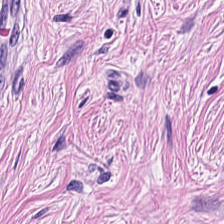Hematoxylin and eosin — Tumor-associated stroma.
